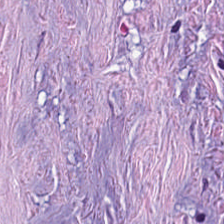Hematoxylin-and-eosin section: cancer-associated stroma.
